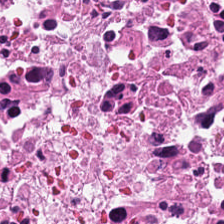H&E stain; 224×224 px patch. Showing necrotic debris.
